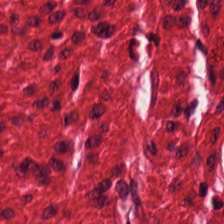Formalin-fixed paraffin-embedded section. H&E-stained tissue section. 0.5 microns per pixel. The predominant tissue is smooth muscle.
